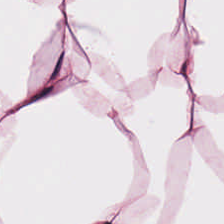Q: Identify the tissue.
A: Fat tissue.
